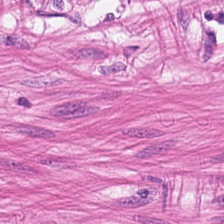Hematoxylin-and-eosin stained section.
Q: What type of tissue is this?
A: The field shows smooth muscle.
